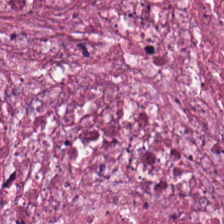H&E. Tissue class — necrotic debris.
